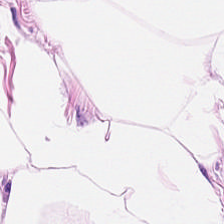FFPE tissue section; hematoxylin and eosin — The tissue type is fat tissue.
